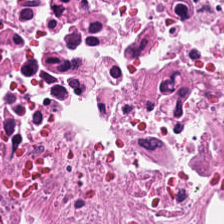Hematoxylin and eosin. 0.5 microns per pixel.
Histology — cellular debris.
